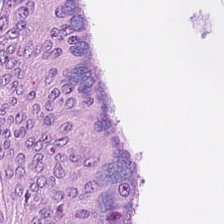Hematoxylin and eosin — {"tissue_type": "tumor epithelium"}
